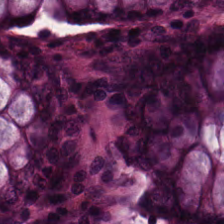Brightfield microscopy. H&E. 0.5 microns per pixel. Tissue type — benign colonic mucosa.
